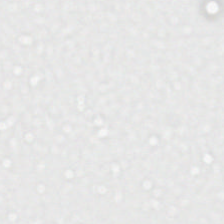Formalin-fixed paraffin-embedded section · hematoxylin-and-eosin stained section · 224×224 pixel tile — Finding → background.
